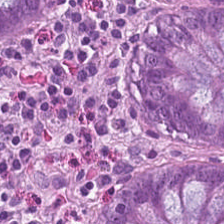Hematoxylin-and-eosin stained section. Brightfield.
This field is normal colon mucosa.
